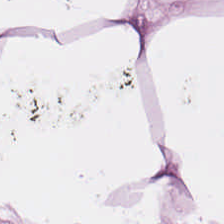H&E stain. Showing fat tissue.
